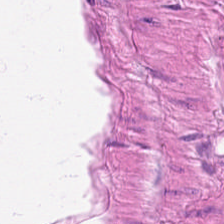H&E-stained section; the field shows smooth-muscle tissue.
